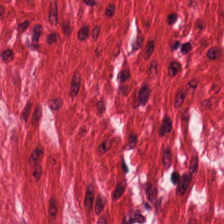Stain: H&E-stained tissue section.
Tissue type: muscularis.
